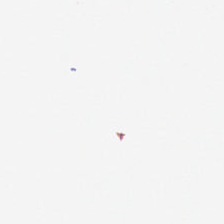Q: What does this patch show?
A: The field shows background.
